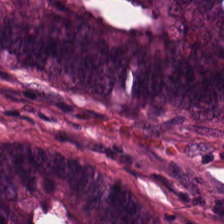WSI patch · hematoxylin-and-eosin stained section · 20× equivalent magnification. Finding — colorectal adenocarcinoma epithelium.
